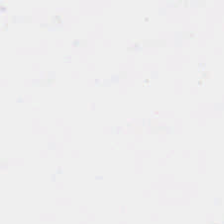Q: Classify this patch.
A: It is background.
